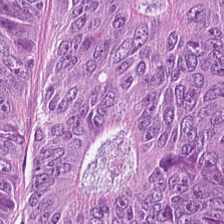The tissue is malignant epithelium.
